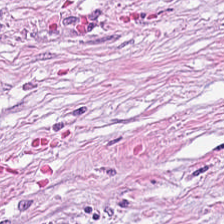Hematoxylin-and-eosin stained section. Q: What is the predominant tissue type?
A: Tumor-associated stroma.
